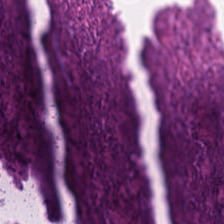0.5 µm per pixel; hematoxylin and eosin.
The predominant tissue is necrotic debris.
